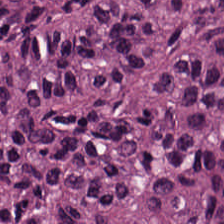Stain: H&E.
Tissue type: malignant epithelium.
